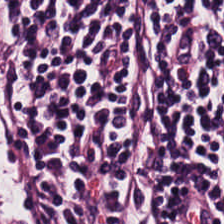Hematoxylin-and-eosin stained section · 0.5 microns per pixel — The predominant tissue is lymphocyte aggregate.
